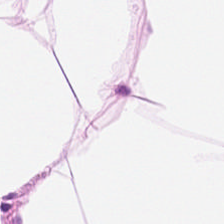Hematoxylin and eosin — Impression → adipose.
